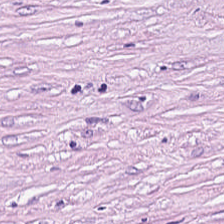Brightfield microscopy; hematoxylin-and-eosin stained section — Histology — cancer-associated stroma.
